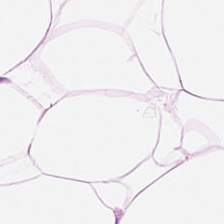H&E-stained tissue section — Q: What tissue type is shown here?
A: It is adipose tissue.
